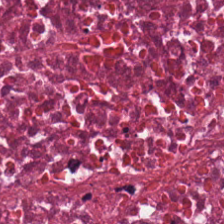0.5 µm/px · H&E stain — The tissue class is necrotic debris.
